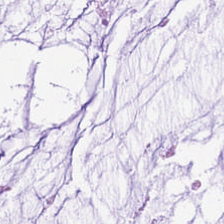H&E stain; 20× equivalent magnification — Classification = mucin.
